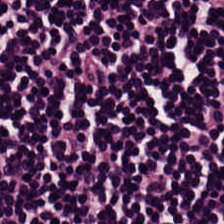Hematoxylin-and-eosin stained section. Q: What tissue is shown?
A: It is lymphocyte aggregate.
